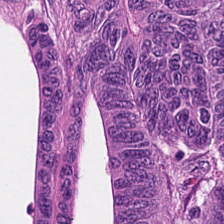Hematoxylin and eosin. Q: What does this patch show?
A: This is tumor epithelium.
